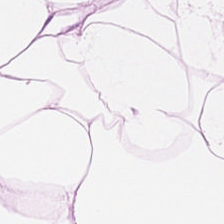Adipose tissue.
